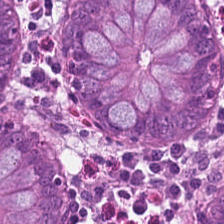Hematoxylin-and-eosin stained section — This field is normal colonic mucosa.
